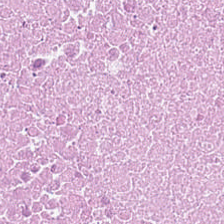Hematoxylin and eosin — Predominantly debris.
